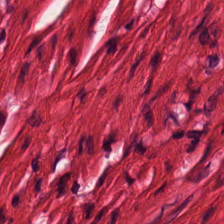224×224 pixel tile. H&E stain — Q: What is shown here?
A: Muscularis.
